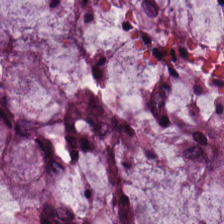Showing non-neoplastic colon mucosa.
